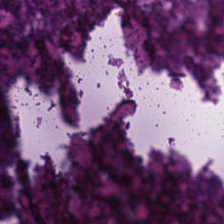Hematoxylin and eosin. 0.5 µm per pixel. Classification — necrotic debris.
